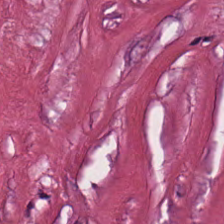Desmoplastic stroma.
